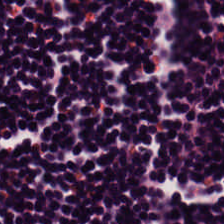H&E-stained tissue section · FFPE — Q: What is shown here?
A: This is lymphocytes.
